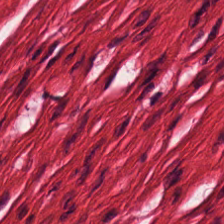H&E stain — Showing smooth muscle.
